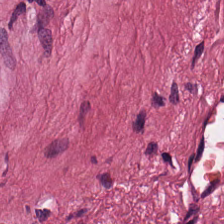H&E-stained tissue section showing desmoplastic stroma.
